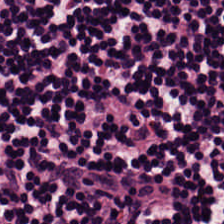Stain: hematoxylin-and-eosin stained section.
Tissue type: lymphoid infiltrate.
